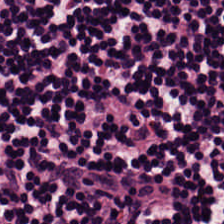Stain: hematoxylin-and-eosin stained section.
Tissue type: lymphoid infiltrate.
